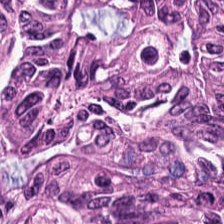Stain: hematoxylin-and-eosin stained section.
Classification: colorectal adenocarcinoma.
